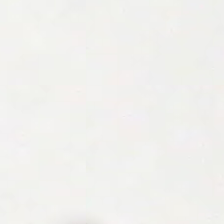Field content: background (no tissue).
